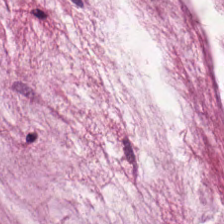20× equivalent magnification; H&E-stained tissue section; 224×224 pixel tile — Finding — mucin.
